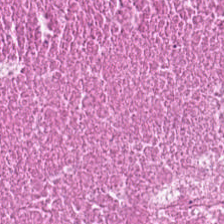H&E-stained tissue section.
This field is necrotic debris.
